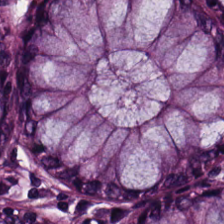H&E-stained tissue section · brightfield — The tissue class is normal colon mucosa.
